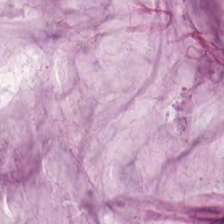H&E patch showing extracellular mucin.
